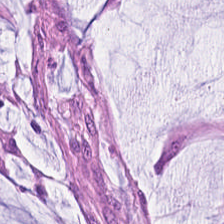Tissue class — mucus.
